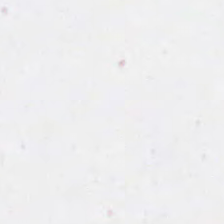H&E stain; whole-slide-image patch; FFPE — Background (no tissue).
